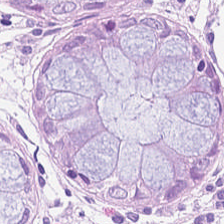Stain: hematoxylin and eosin.
Tile size: 224×224 px tile.
Tissue class: normal colonic mucosa.
